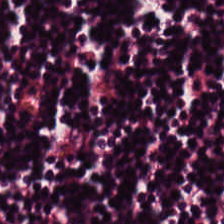H&E-stained tissue section · whole-slide-image patch. Q: What type of tissue is this?
A: This is lymphocytes.
